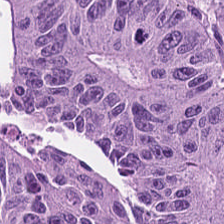H&E stain. Predominantly colorectal adenocarcinoma.
